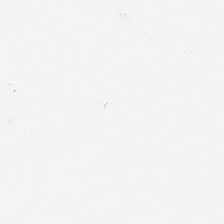Q: Classify this patch.
A: This is background.
